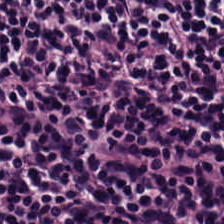Hematoxylin-and-eosin stained section · WSI patch. Lymphocyte aggregate.
